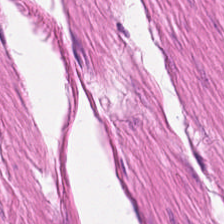H&E-stained tissue section. 224×224 px patch — Q: Identify the tissue.
A: This is muscularis.
